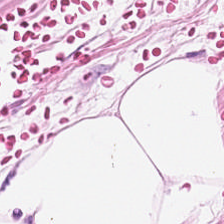Fat tissue.
